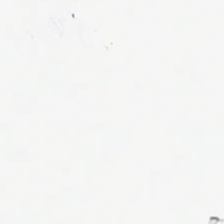FFPE; H&E stain.
Content = background.
